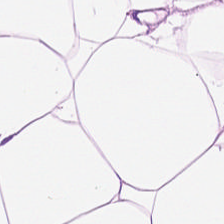H&E patch showing adipocytes.
